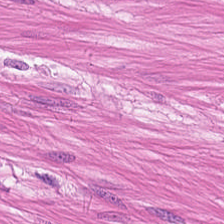Showing muscularis.
